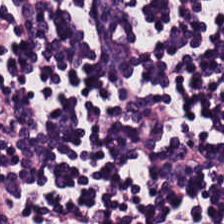Histology — lymphocyte aggregate.
